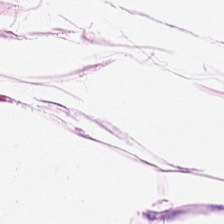Stain: H&E-stained tissue section.
Classification: adipose tissue.
